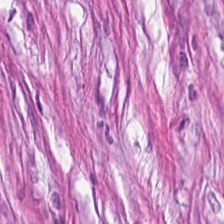Stain: H&E-stained tissue section.
Tissue class: tumor stroma.
